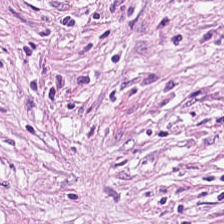H&E-stained tissue section. Formalin-fixed paraffin-embedded section.
Tissue type — tumor-associated stroma.
